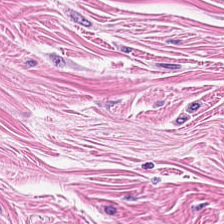Tissue class: smooth muscle.
